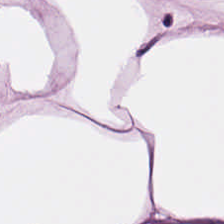Hematoxylin and eosin; 224×224 pixel tile. Q: What does this patch show?
A: It is fat tissue.
